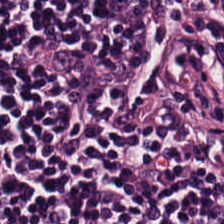H&E — Finding — lymphocytic infiltrate.
